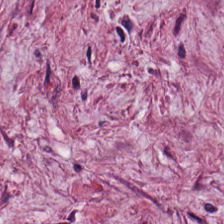Finding — desmoplastic stroma.
